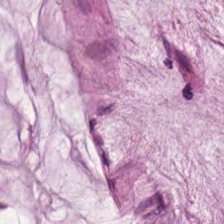H&E-stained tissue section.
Q: What is the predominant tissue type?
A: This is mucin.
